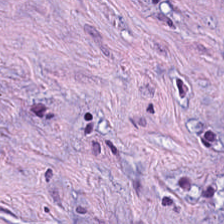The predominant tissue is tumor-associated stroma.
